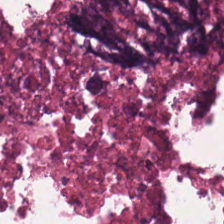H&E stain. WSI patch — Impression — necrotic debris.
